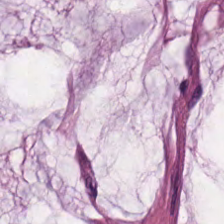H&E-stained tissue section — The tissue here is mucin.
